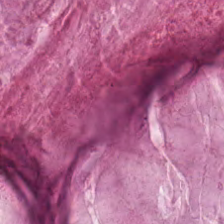Hematoxylin-and-eosin stained section — This field is extracellular mucin.
